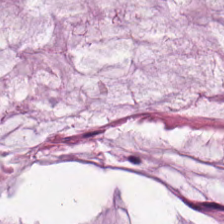Hematoxylin and eosin. 0.5 µm/px — The tissue here is mucus.
